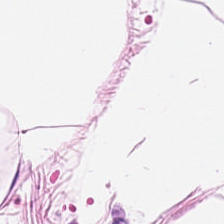Formalin-fixed paraffin-embedded section; H&E — Predominant tissue — adipose.
